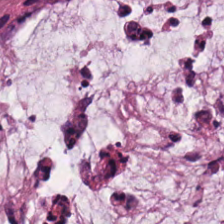Predominant tissue: extracellular mucin.
